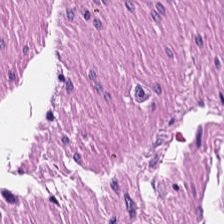Stain: H&E.
Tile size: 224×224 px patch.
Tissue class: smooth-muscle tissue.
